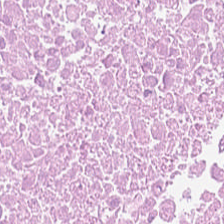Hematoxylin-and-eosin stained section.
Q: What tissue type is shown here?
A: Necrotic debris.
